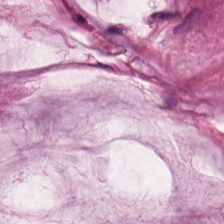{"tissue_type": "extracellular mucin"}
